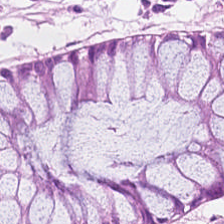Hematoxylin-and-eosin stained section · FFPE tissue section · 20× equivalent magnification — The tissue here is benign colonic mucosa.
